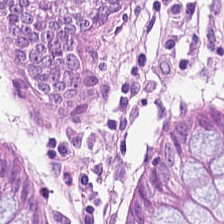Whole-slide-image patch; H&E stain. Tissue class — normal colon mucosa.
